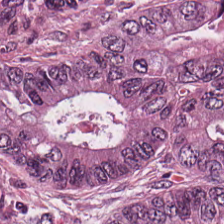Hematoxylin and eosin — Q: Classify this patch.
A: This is malignant epithelium.
